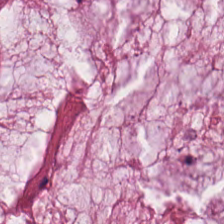H&E-stained tissue section — Tissue type: mucus.
